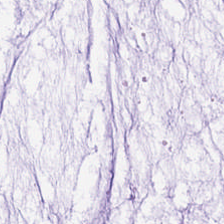H&E stain; FFPE tissue section — Predominantly mucus.
